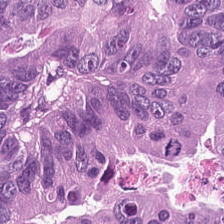Brightfield microscopy. H&E.
Tissue = colorectal adenocarcinoma epithelium.
